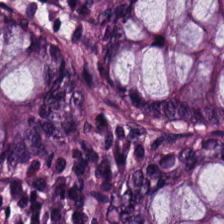224×224 px patch; H&E-stained tissue section; FFPE tissue section.
{"tissue_type": "non-neoplastic colon mucosa"}
